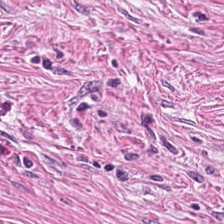H&E.
This field is cancer-associated stroma.
